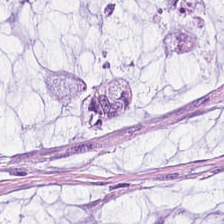H&E — Showing mucus.
